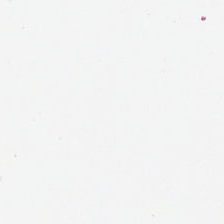Hematoxylin-and-eosin stained section. 224×224 px tile — The content is empty background.
